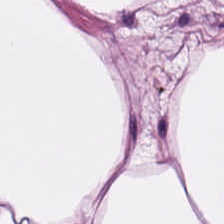Brightfield microscopy. H&E.
Impression → adipose.
